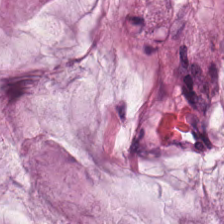Hematoxylin-and-eosin stained section. Brightfield — Predominant tissue: mucus.
